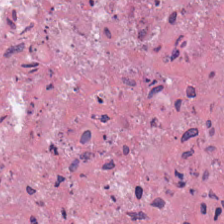Stain: H&E stain.
Resolution: 20× equivalent magnification.
Classification: cellular debris.
